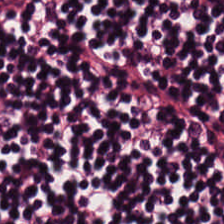H&E stain — Predominantly lymphocytes.
